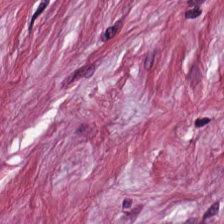224×224 px tile · WSI patch · H&E.
This field is desmoplastic stroma.
